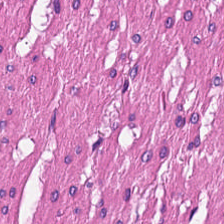H&E-stained tissue section — Smooth muscle.
